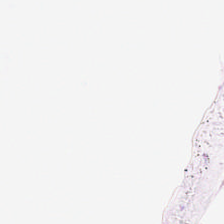0.5 µm per pixel; hematoxylin and eosin — Q: Classify this patch.
A: Background (no tissue).
